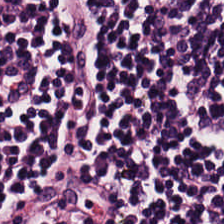H&E · whole-slide-image patch.
The predominant tissue is lymphocyte aggregate.
